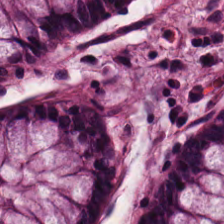Stain: hematoxylin-and-eosin stained section.
Tile size: 224×224 pixel tile.
Classification: normal colonic mucosa.
